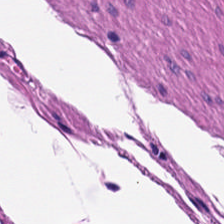Hematoxylin and eosin. 224×224 px tile. FFPE tissue section — Showing smooth-muscle tissue.
